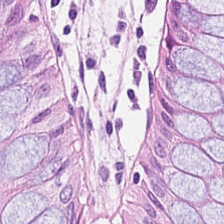Stain: H&E-stained tissue section.
Tile size: 224×224 pixel tile.
Acquisition: brightfield microscopy.
Classification: non-neoplastic colon mucosa.
